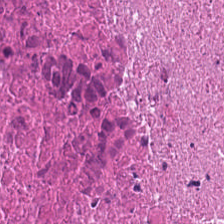H&E stain. Q: What tissue is shown?
A: The field shows cellular debris.
